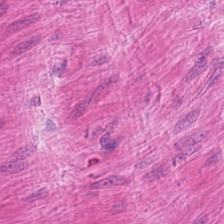Showing muscularis.
